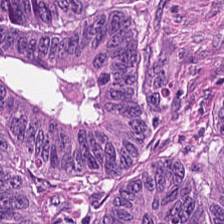H&E-stained tissue section · 0.5 µm per pixel. Tissue type = colorectal adenocarcinoma epithelium.
